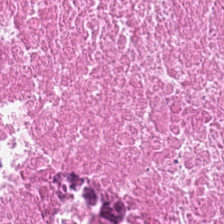Stain: H&E-stained tissue section.
Predominant tissue: debris.
